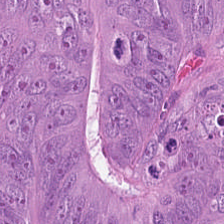224×224 pixel tile; H&E-stained tissue section; 20× equivalent magnification. The tissue here is tumor epithelium.
